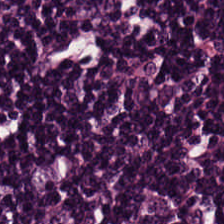H&E · 0.5 microns per pixel.
Finding → lymphocyte aggregate.
